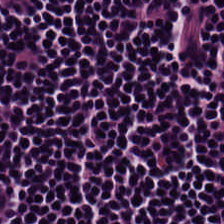Stain: H&E-stained tissue section.
Tissue type: lymphocyte aggregate.
